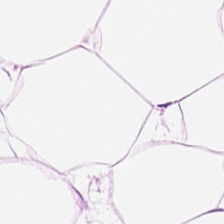H&E-stained section; the field shows adipose tissue.
